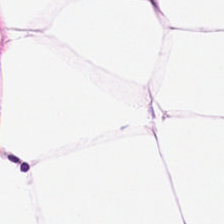FFPE tissue section. 0.5 µm/px. Hematoxylin and eosin.
Finding — adipose.
